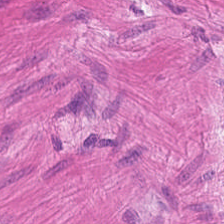Impression → smooth muscle.
